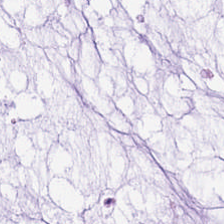Q: Classify this patch.
A: Mucin.
